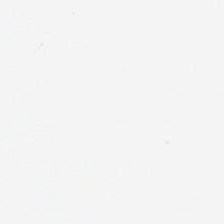Q: What is shown here?
A: The field shows no tissue.
